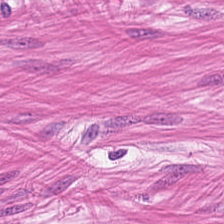Hematoxylin-and-eosin stained section; 0.5 µm/px. Showing smooth muscle.
